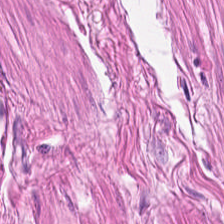224×224 px patch. Hematoxylin and eosin — The predominant tissue is muscularis.
